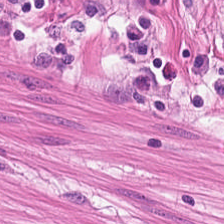Brightfield microscopy; 0.5 µm per pixel; hematoxylin and eosin — Finding → smooth muscle.
